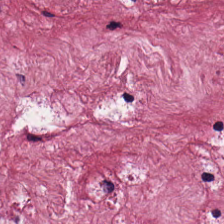Brightfield microscopy; hematoxylin-and-eosin stained section — Impression → desmoplastic stroma.
